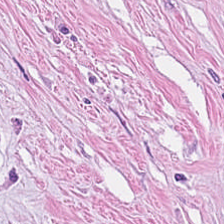Hematoxylin and eosin. This field is desmoplastic stroma.
